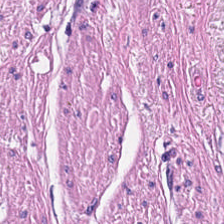H&E; 224×224 px tile — Q: What is shown in this field?
A: This is smooth muscle.
